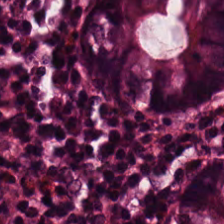Q: Classify this patch.
A: It is benign colonic mucosa.
